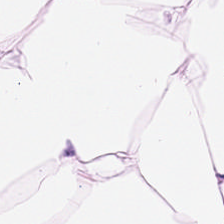H&E. Predominant tissue: adipocytes.
